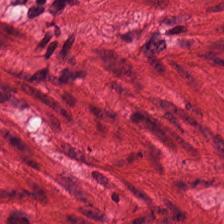Finding — smooth-muscle tissue.
